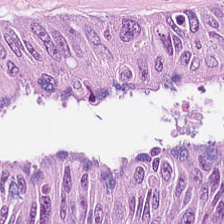Q: What tissue type is shown here?
A: It is colorectal adenocarcinoma epithelium.
